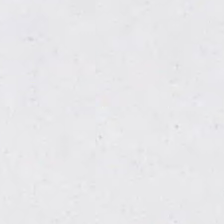H&E stain · FFPE tissue section · 224×224 pixel tile.
Content — no tissue.
